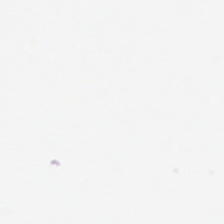H&E. Background — no tissue in this field.
